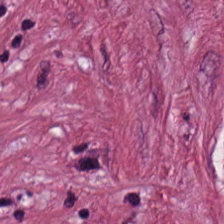Hematoxylin and eosin. 224×224 pixel tile. WSI patch. This patch shows desmoplastic stroma.
